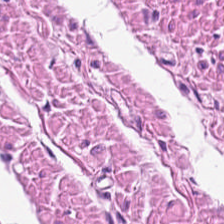Stain: H&E.
Tile size: 224×224 px tile.
Tissue class: muscularis.
